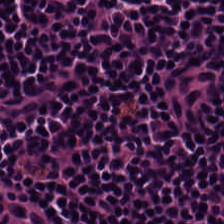Hematoxylin-and-eosin stained section — The predominant tissue is lymphoid infiltrate.
